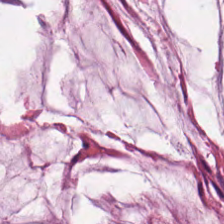H&E stain.
Predominantly extracellular mucin.
